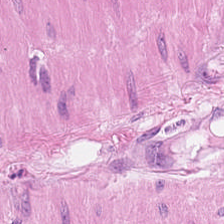Histology — smooth-muscle tissue.
